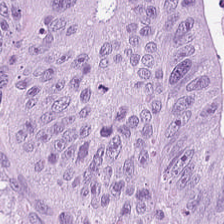Stain: H&E.
Predominant tissue: adenocarcinoma.
